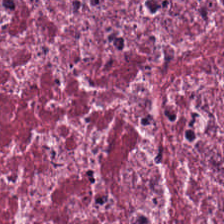Tissue class: cancer-associated stroma.
